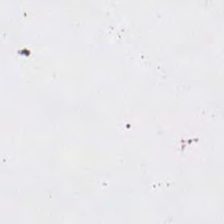Stain: H&E-stained tissue section.
Preparation: FFPE tissue section.
Tile size: 224×224 pixel tile.
Content: no tissue.
